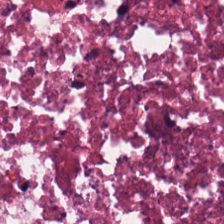H&E stain — This patch shows necrotic debris.
